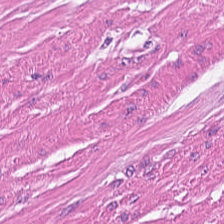Stain: hematoxylin and eosin.
Acquisition: brightfield.
Tissue class: smooth-muscle tissue.
